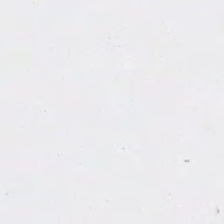Classification — background.
